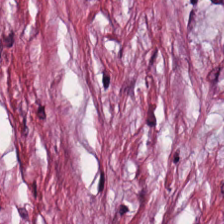Q: What type of tissue is this?
A: Cancer-associated stroma.
